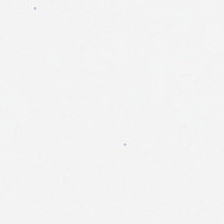224×224 px patch · hematoxylin and eosin.
The field content is background.
